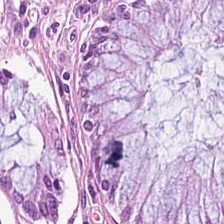Brightfield; hematoxylin-and-eosin stained section; FFPE.
Histology → normal colon mucosa.
